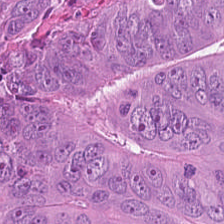H&E-stained tissue section. Showing tumor epithelium.
